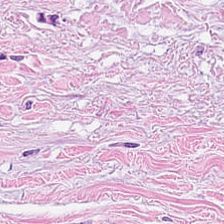FFPE. Hematoxylin and eosin. This patch shows tumor stroma.
